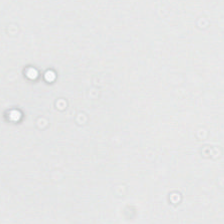Background — no tissue in this field.
